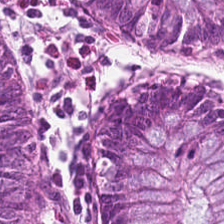Q: What type of tissue is this?
A: The field shows benign colonic mucosa.
